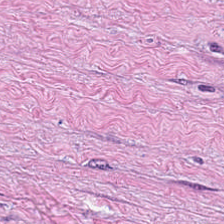H&E. Tumor-associated stroma.
